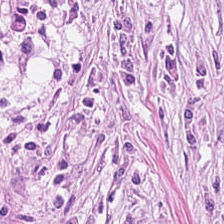Hematoxylin-and-eosin stained section — Predominant tissue: desmoplastic stroma.
